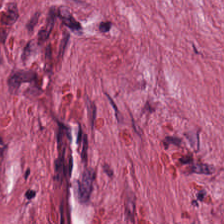WSI patch. FFPE tissue section. H&E stain.
Predominantly tumor stroma.
